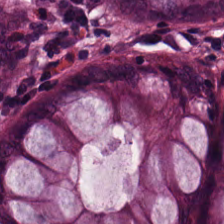0.5 microns per pixel. H&E stain — Q: What is the predominant tissue type?
A: Normal colonic mucosa.
